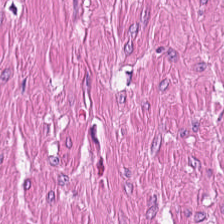20× equivalent magnification; H&E-stained tissue section; formalin-fixed paraffin-embedded section.
This field is smooth muscle.
